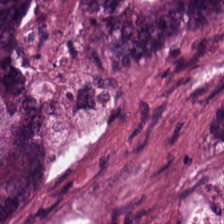H&E stain. Tumor epithelium.
